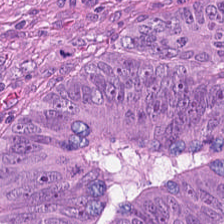Tissue: colorectal adenocarcinoma epithelium.
